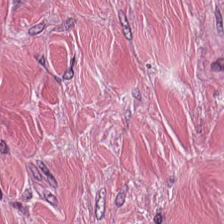The tissue class is cancer-associated stroma.
